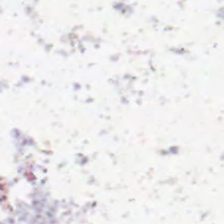Classification: background (no tissue).
